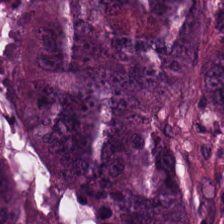Hematoxylin and eosin. WSI patch.
Classification — colorectal adenocarcinoma.
